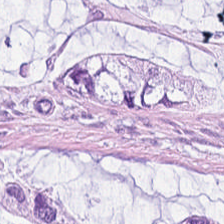Formalin-fixed paraffin-embedded section. Brightfield microscopy. H&E stain. Q: What is shown here?
A: This is extracellular mucin.
